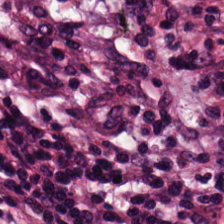Impression → cancer-associated stroma.
